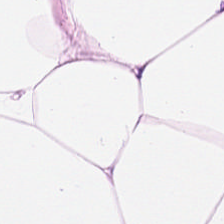H&E patch showing adipose.
